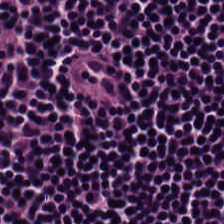Whole-slide-image patch · H&E.
Q: What does this patch show?
A: This is lymphocytes.
